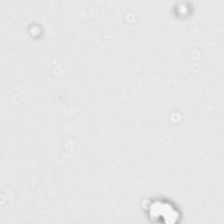Field content = no tissue.
